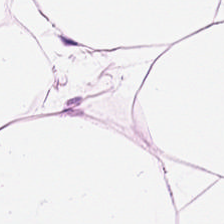Hematoxylin-and-eosin stained section. The tissue here is adipocytes.
